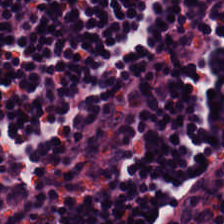Whole-slide-image patch · H&E.
Finding → lymphocytic infiltrate.
